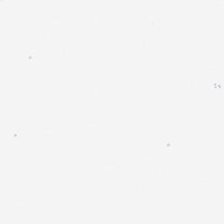Impression → no tissue.
